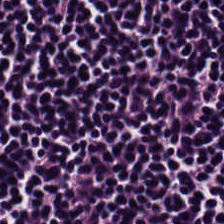Hematoxylin and eosin.
Impression — lymphocytic infiltrate.
